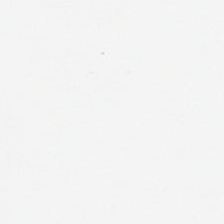Hematoxylin and eosin · FFPE — Impression → empty background.
